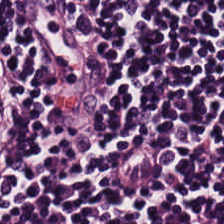Hematoxylin and eosin. Q: What does this patch show?
A: Lymphoid infiltrate.
